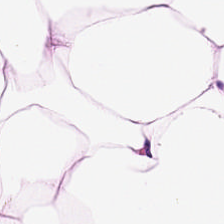H&E-stained tissue section.
Impression → adipocytes.
